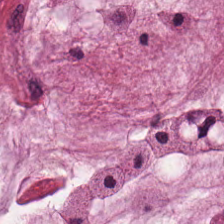Hematoxylin-and-eosin stained section. 224×224 pixel tile.
This field is mucus.
